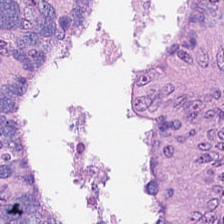Stain: H&E-stained tissue section.
Tissue: colorectal adenocarcinoma.
